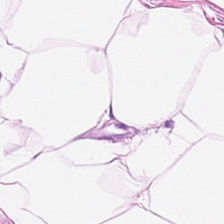Hematoxylin-and-eosin stained section · 224×224 px patch — Q: What tissue type is shown here?
A: Adipocytes.
